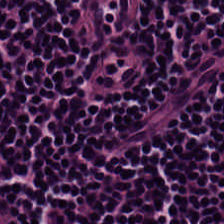H&E-stained tissue section · formalin-fixed paraffin-embedded section — The tissue here is lymphocytes.
